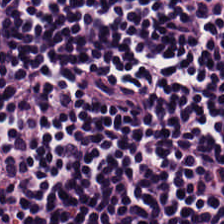Stain: H&E stain.
Classification: lymphocyte aggregate.
